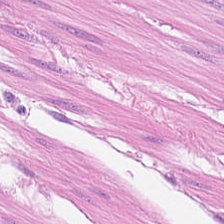H&E-stained tissue section.
The tissue here is muscularis.
